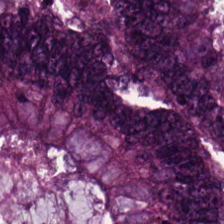20× equivalent magnification · H&E stain — This field is colorectal adenocarcinoma.
